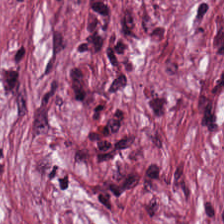H&E stain.
The classification is tumor stroma.
